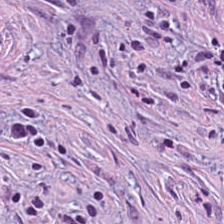H&E stain. WSI patch — Tissue class = tumor stroma.
